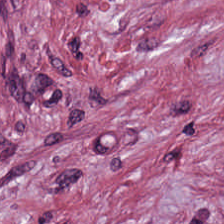H&E — Tumor-associated stroma.
